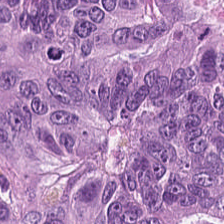H&E.
This patch shows adenocarcinoma.
